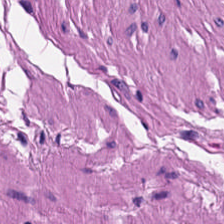Tissue class — smooth-muscle tissue.
